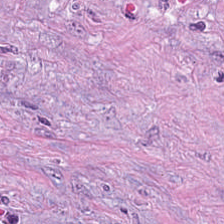Hematoxylin and eosin; 224×224 pixel tile.
The predominant tissue is cancer-associated stroma.
